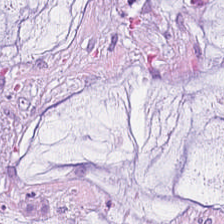Stain: hematoxylin and eosin.
Tissue: extracellular mucin.
